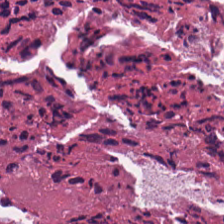Stain: H&E.
Predominant tissue: cellular debris.
